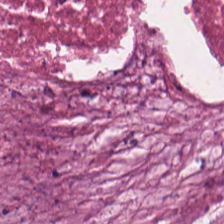Showing cellular debris.
